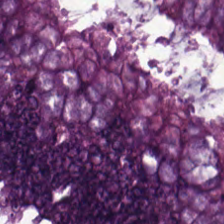Stain: H&E-stained tissue section.
Tissue class: adenocarcinoma.
